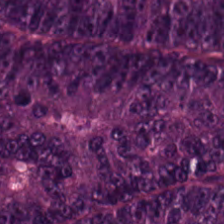H&E. This field is malignant epithelium.
